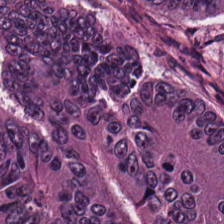H&E patch showing colorectal adenocarcinoma.
